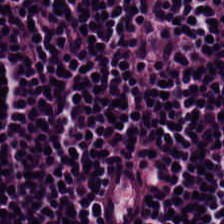0.5 µm/px; FFPE; hematoxylin and eosin.
This patch shows lymphocyte aggregate.
